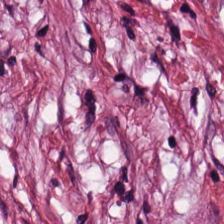The tissue is cancer-associated stroma.
